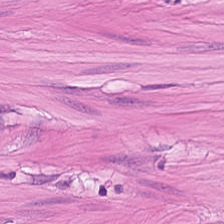Brightfield; FFPE; H&E-stained tissue section.
Predominantly smooth muscle.
